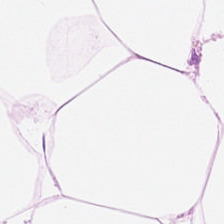Showing fat tissue.
